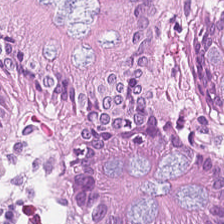Hematoxylin and eosin — This field is normal colon mucosa.
